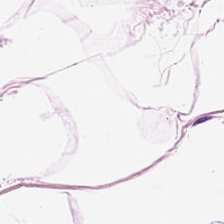FFPE tissue section. H&E. 224×224 px patch.
Showing adipocytes.
